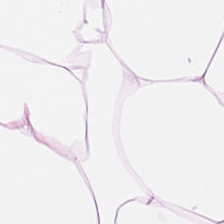0.5 microns per pixel · H&E stain. Q: What type of tissue is this?
A: The field shows adipocytes.
